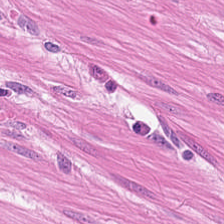Hematoxylin and eosin. Q: What is the predominant tissue type?
A: This is smooth-muscle tissue.
